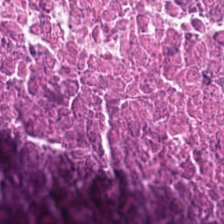H&E — Showing debris.
